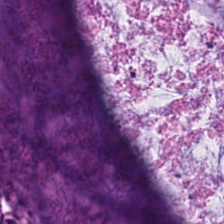H&E. 224×224 px patch. Whole-slide-image patch — Predominantly extracellular mucin.
